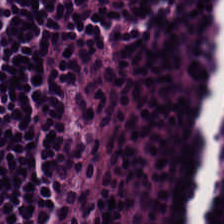The classification is lymphocytes.
